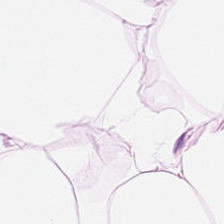H&E-stained tissue section.
Impression — adipose tissue.
